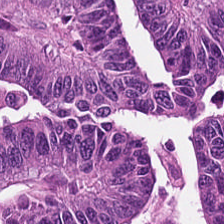H&E.
The tissue here is colorectal adenocarcinoma epithelium.
